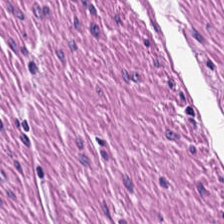H&E-stained tissue section. 0.5 microns per pixel — The predominant tissue is smooth muscle.
